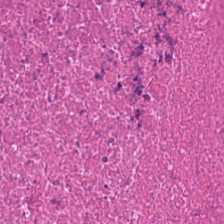Hematoxylin-and-eosin stained section · 0.5 µm per pixel · brightfield. Impression → debris.
